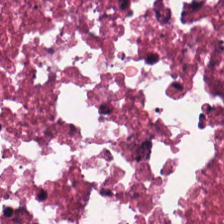Stain: hematoxylin and eosin.
Acquisition: brightfield microscopy.
Tissue type: necrotic debris.
